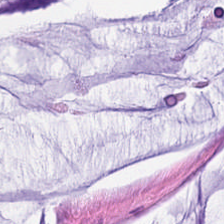Hematoxylin and eosin. Histology — mucin.
